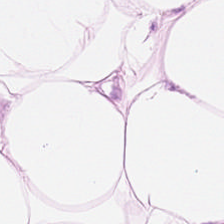H&E.
{"tissue_type": "adipocytes"}
